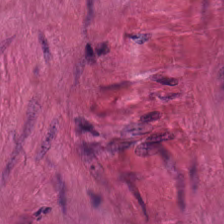Q: What is shown here?
A: It is smooth muscle.
